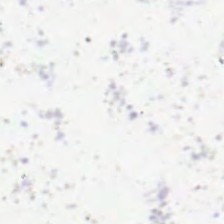0.5 µm/px. Hematoxylin-and-eosin stained section. Field content: background.
